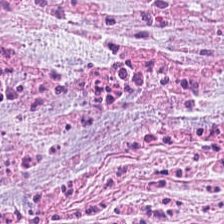H&E. FFPE tissue section. WSI patch — The predominant tissue is tumor stroma.
